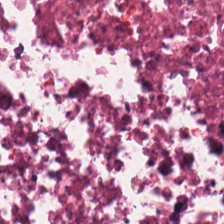FFPE; H&E-stained tissue section — Predominant tissue — cellular debris.
